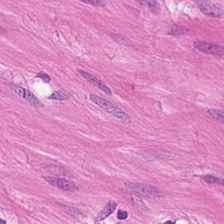Showing muscularis.
